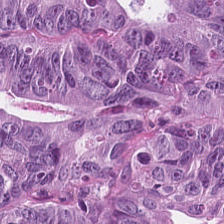Formalin-fixed paraffin-embedded section. H&E-stained tissue section.
The tissue class is tumor epithelium.
